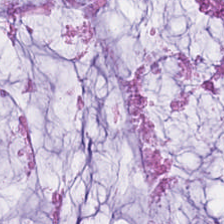H&E-stained tissue section. The tissue here is extracellular mucin.
